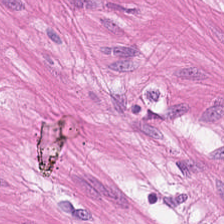Tissue type — smooth-muscle tissue.
